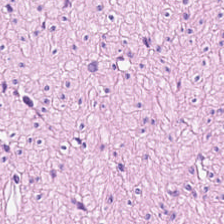Classification: smooth-muscle tissue.
